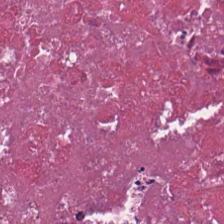Finding → cellular debris.
